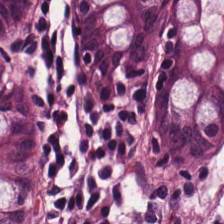H&E-stained tissue section. Predominantly benign colonic mucosa.
